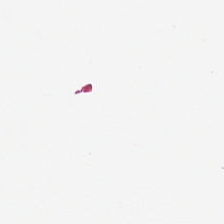H&E. This patch shows empty background.
